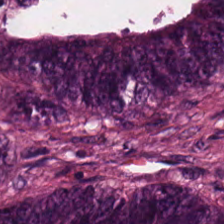H&E stain.
The tissue here is malignant epithelium.
